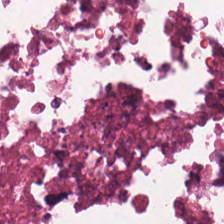H&E.
This field is debris.
